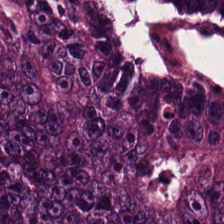0.5 microns per pixel; H&E-stained tissue section; WSI patch.
Tissue = colorectal adenocarcinoma epithelium.
